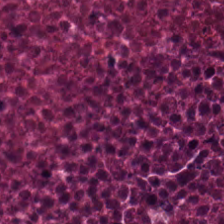Stain: H&E-stained tissue section.
Tissue class: debris.
